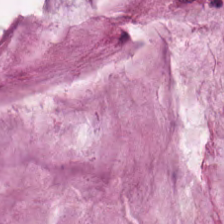Hematoxylin-and-eosin stained section. The predominant tissue is mucus.
